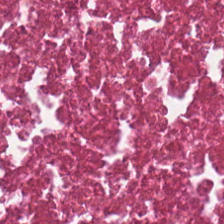Hematoxylin and eosin. Q: Classify this patch.
A: It is cellular debris.
